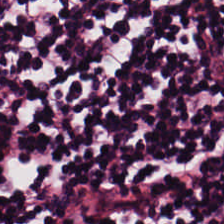H&E-stained tissue section · 0.5 microns per pixel · FFPE tissue section. {"tissue_type": "lymphocyte aggregate"}
